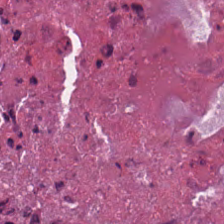H&E. This patch shows cellular debris.
